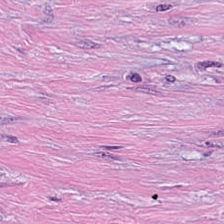Stain: H&E stain.
Tissue class: desmoplastic stroma.
